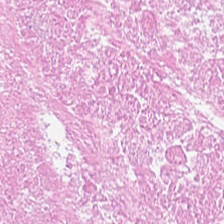0.5 microns per pixel · hematoxylin and eosin. Tissue type = debris.
